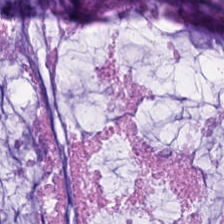Hematoxylin-and-eosin stained section. WSI patch. The tissue class is mucus.
